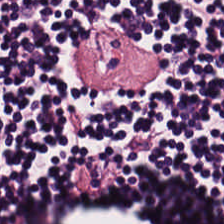H&E — lymphocyte aggregate.
